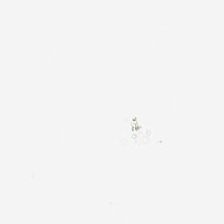Empty field — empty background.
